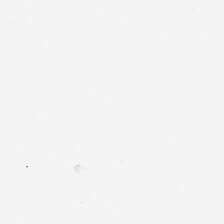H&E-stained tissue section. Empty background.
